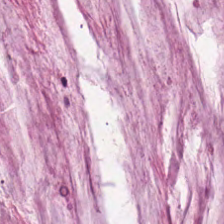The tissue is mucin.
